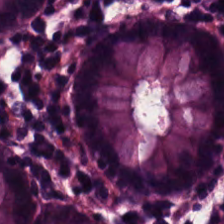Hematoxylin-and-eosin stained section. Q: What is the predominant tissue type?
A: It is benign colonic mucosa.
